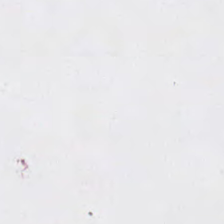Hematoxylin and eosin · 224×224 pixel tile.
Classification — background (no tissue).
